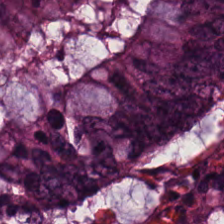Brightfield microscopy. H&E-stained tissue section. Formalin-fixed paraffin-embedded section — Q: What is shown in this field?
A: It is colorectal adenocarcinoma.
